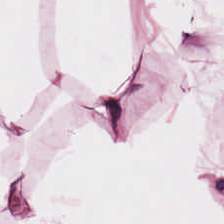FFPE tissue section · H&E · 224×224 px patch — This patch shows adipose.
